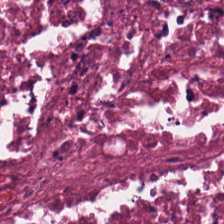Hematoxylin-and-eosin stained section — Tissue = necrotic debris.
